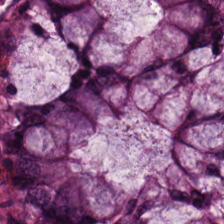The tissue type is benign colonic mucosa.
